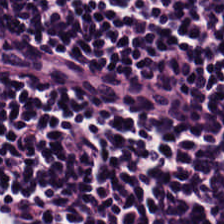The tissue type is lymphoid infiltrate.
